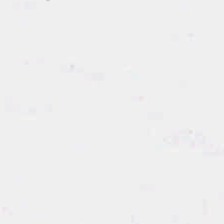Hematoxylin-and-eosin stained section. Background — no tissue in this field.
